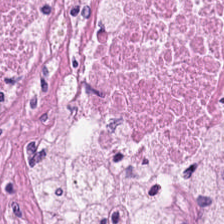Stain: H&E.
Tissue type: debris.
